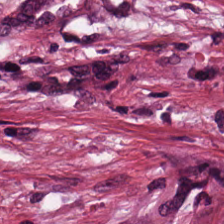Hematoxylin and eosin.
Q: What is the predominant tissue type?
A: The field shows tumor stroma.
